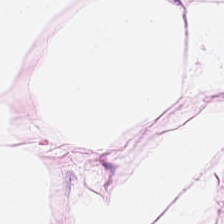This field is fat tissue.
